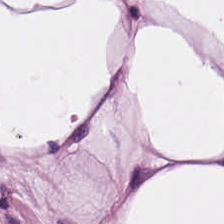Stain: hematoxylin-and-eosin stained section.
Tissue class: fat tissue.
